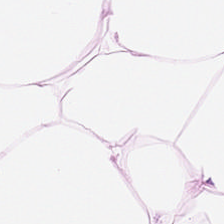H&E stain.
Impression — adipocytes.
